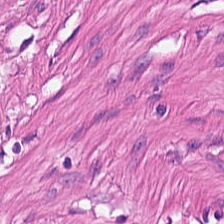H&E-stained tissue section.
Predominantly muscularis.
